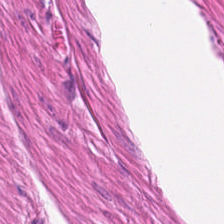{"tissue_type": "smooth-muscle tissue"}
